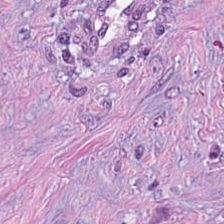Stain: hematoxylin and eosin.
Tissue type: desmoplastic stroma.
